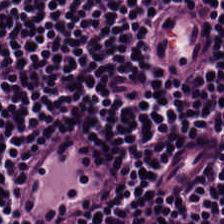Impression — lymphoid infiltrate.
